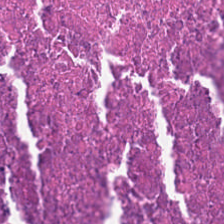Q: What type of tissue is this?
A: The field shows necrotic debris.
